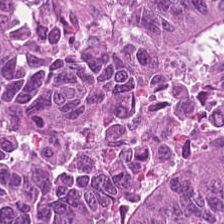FFPE tissue section · hematoxylin and eosin — {"tissue_type": "tumor epithelium"}
